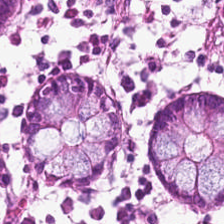FFPE tissue section; 0.5 microns per pixel; H&E-stained tissue section.
{"tissue_type": "normal colon mucosa"}
